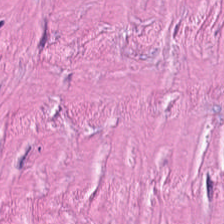Hematoxylin-and-eosin section: cancer-associated stroma.
